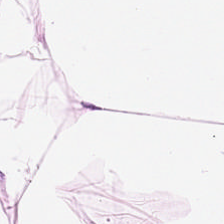Hematoxylin and eosin · brightfield. Classification: adipose.
